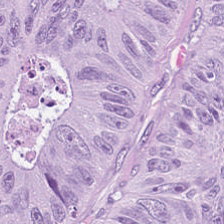Predominantly tumor epithelium.
